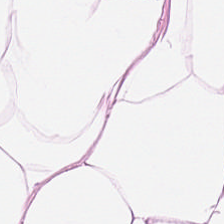H&E-stained tissue section. The tissue here is adipocytes.
